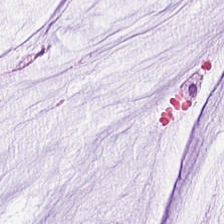Hematoxylin-and-eosin stained section; 224×224 px patch — Q: What type of tissue is this?
A: Mucin.
